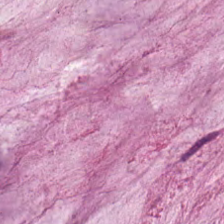Hematoxylin-and-eosin stained section. Whole-slide-image patch — The predominant tissue is mucus.
